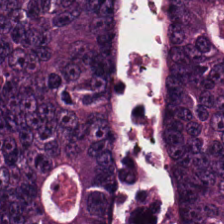H&E · brightfield microscopy. Predominantly colorectal adenocarcinoma.
